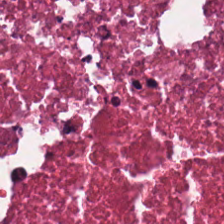Hematoxylin-and-eosin stained section · 224×224 px patch · formalin-fixed paraffin-embedded section. This patch shows necrotic debris.
